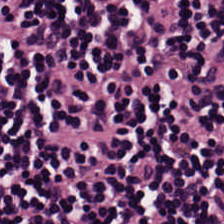Hematoxylin and eosin — Histology — lymphocytic infiltrate.
